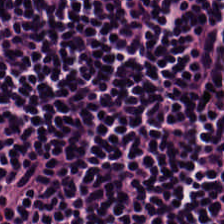WSI patch · H&E-stained tissue section — This patch shows lymphoid infiltrate.
